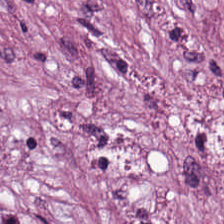H&E-stained tissue section. 0.5 µm/px — Q: What is shown in this field?
A: This is tumor-associated stroma.
